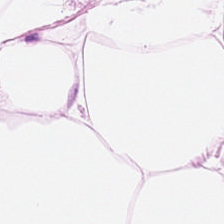H&E-stained tissue section · 224×224 px patch · WSI patch — Classification = adipocytes.
